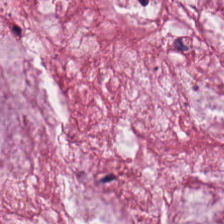The classification is mucus.
